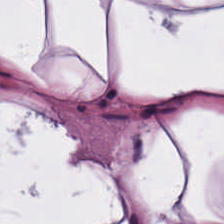H&E. Q: Classify this patch.
A: Adipose.
